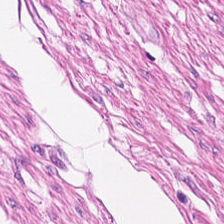Histology → smooth-muscle tissue.
